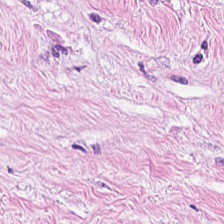The predominant tissue is cancer-associated stroma.
